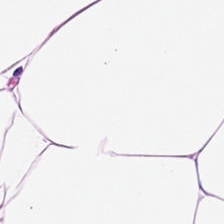Hematoxylin-and-eosin section: adipocytes.
